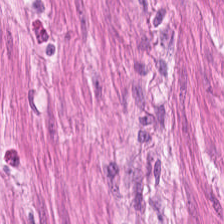FFPE tissue section · H&E stain · brightfield microscopy.
Tissue = smooth muscle.
